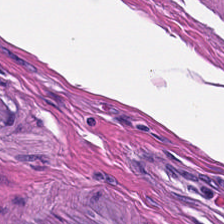Hematoxylin and eosin. FFPE tissue section. Q: What type of tissue is this?
A: It is muscularis.
